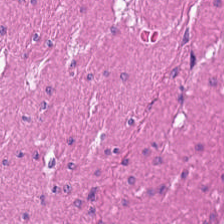224×224 px tile · hematoxylin and eosin.
Q: What type of tissue is this?
A: The field shows smooth muscle.
